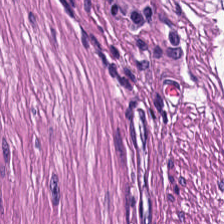Hematoxylin and eosin — Q: What is the predominant tissue type?
A: Smooth muscle.
